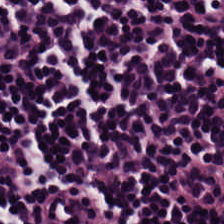H&E stain.
The tissue here is lymphocyte aggregate.
